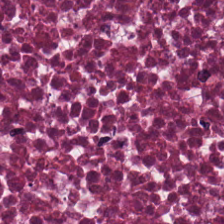H&E-stained tissue section.
The classification is necrotic debris.
